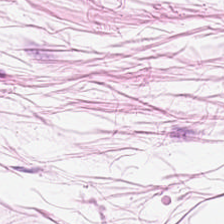H&E stain.
Predominantly adipocytes.
